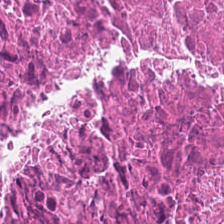H&E — Predominantly cellular debris.
